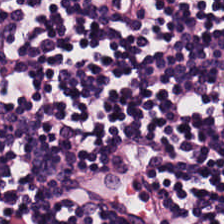H&E-stained tissue section. 20× equivalent magnification. Predominant tissue = lymphoid infiltrate.
